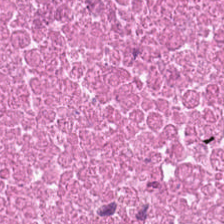Hematoxylin-and-eosin stained section — Q: What does this patch show?
A: The field shows debris.
